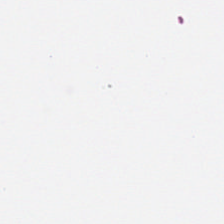Hematoxylin-and-eosin stained section. Whole-slide-image patch.
Q: Classify this patch.
A: It is background (no tissue).
